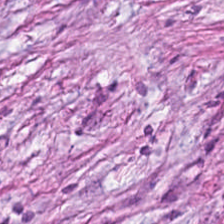H&E-stained tissue section. Tumor-associated stroma.
